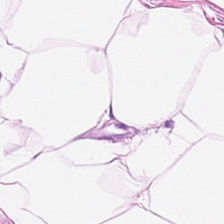0.5 microns per pixel · hematoxylin and eosin. Predominantly adipose tissue.
